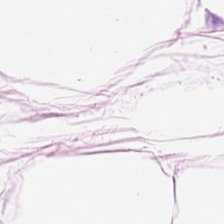0.5 microns per pixel · H&E-stained tissue section.
Tissue type — fat tissue.
